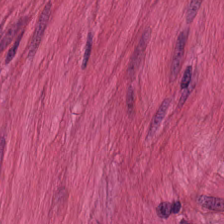H&E.
This field is smooth muscle.
